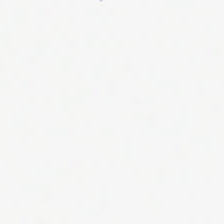FFPE tissue section; H&E. Empty field — no tissue.
